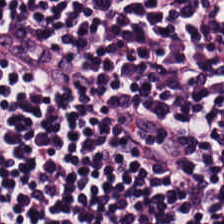Hematoxylin-and-eosin stained section.
The tissue class is lymphocytes.
